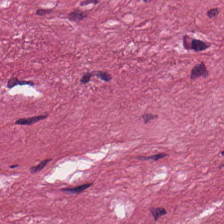H&E-stained tissue section; 0.5 microns per pixel; 224×224 px patch. The predominant tissue is tumor-associated stroma.
